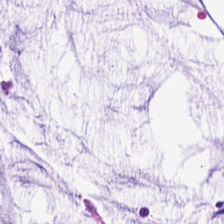FFPE; hematoxylin and eosin — This patch shows mucin.
